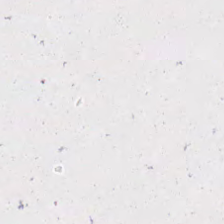The field content is empty background.
